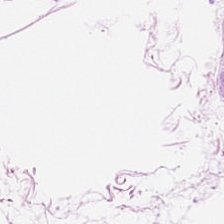H&E. Q: Identify the tissue.
A: This is adipose tissue.
